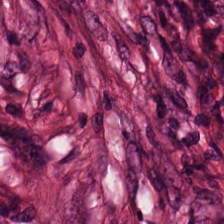Whole-slide-image patch · H&E-stained tissue section.
Histology — desmoplastic stroma.
